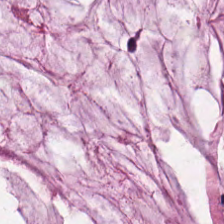224×224 pixel tile; 0.5 microns per pixel; H&E. Histology → mucin.
